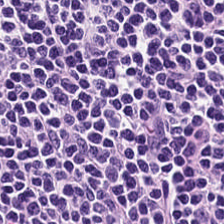Stain: hematoxylin-and-eosin stained section.
Tile size: 224×224 px patch.
Tissue: lymphocyte aggregate.
